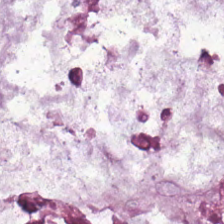224×224 px patch; H&E stain — Tissue — mucin.
